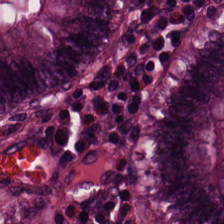Brightfield; H&E — This field is normal colon mucosa.
